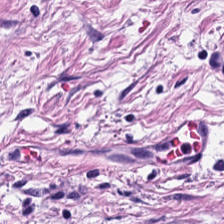H&E · FFPE — Tumor-associated stroma.
